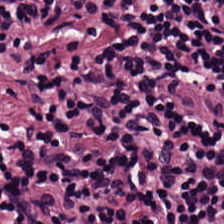H&E. Q: What tissue is shown?
A: The field shows lymphocytic infiltrate.
